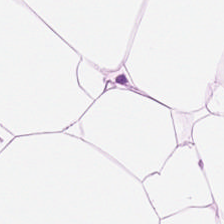The tissue here is adipose.
